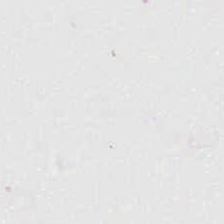{"content": "background"}
